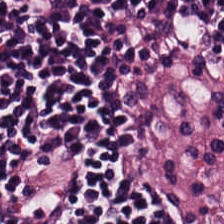H&E.
{"tissue_type": "lymphocytic infiltrate"}
